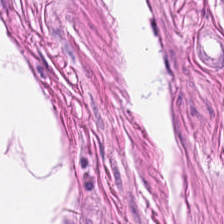0.5 µm per pixel; hematoxylin and eosin; FFPE.
Tissue type: smooth muscle.
